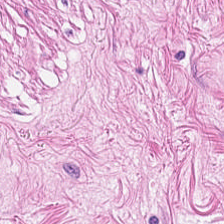H&E stain; FFPE — Classification — smooth-muscle tissue.
